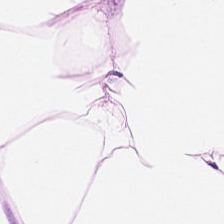Classification — adipose.
